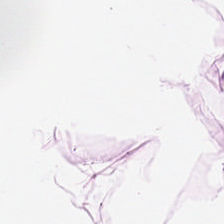Hematoxylin and eosin · formalin-fixed paraffin-embedded section.
This field is fat tissue.
